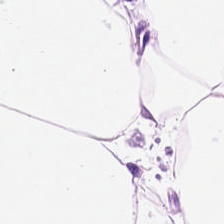H&E stain.
This field is adipocytes.
